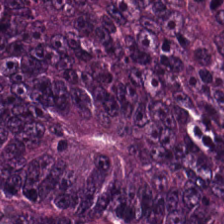Hematoxylin and eosin · 224×224 px tile.
Q: What tissue is shown?
A: This is colorectal adenocarcinoma epithelium.
